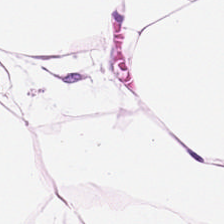H&E — adipose tissue.
